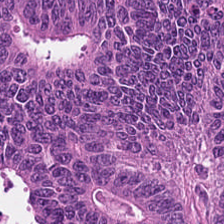H&E stain — Tissue — malignant epithelium.
